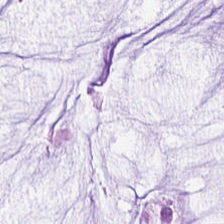H&E-stained tissue section.
{"tissue_type": "mucus"}
